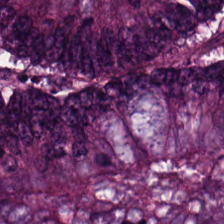Hematoxylin-and-eosin stained section. FFPE tissue section.
Colorectal adenocarcinoma epithelium.
